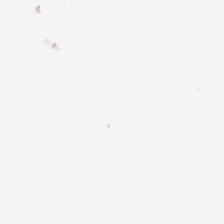Hematoxylin-and-eosin stained section — Classification: background (no tissue).
